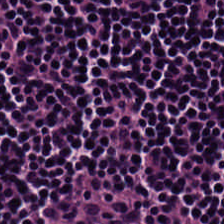{"tissue_type": "lymphoid infiltrate"}
